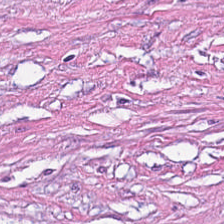Hematoxylin and eosin; formalin-fixed paraffin-embedded section.
Tissue type = cancer-associated stroma.
